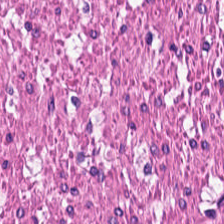Stain: H&E.
Preparation: formalin-fixed paraffin-embedded section.
Predominant tissue: smooth-muscle tissue.
